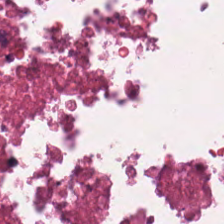H&E stain — Q: What is the predominant tissue type?
A: The field shows cellular debris.
